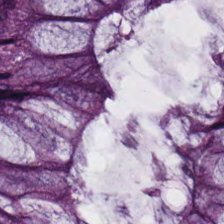224×224 px patch · hematoxylin and eosin. The tissue type is normal colonic mucosa.
